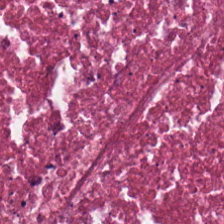H&E; 224×224 pixel tile; FFPE.
Showing cellular debris.
